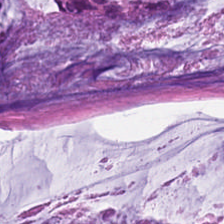H&E-stained tissue section — The predominant tissue is extracellular mucin.
